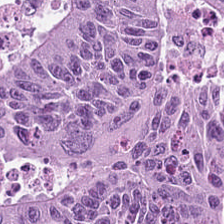Hematoxylin and eosin. The tissue here is adenocarcinoma.
